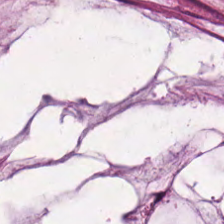{"tissue_type": "mucus"}
